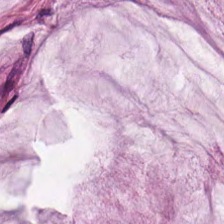20× equivalent magnification · 224×224 px patch · H&E stain. Classification = mucin.
